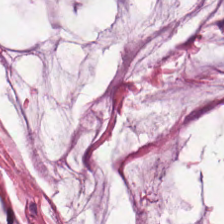Hematoxylin and eosin; brightfield microscopy; 20× equivalent magnification.
The predominant tissue is mucin.
